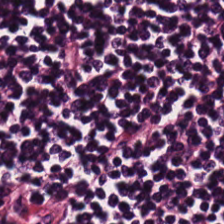H&E; brightfield; 224×224 px patch — Tissue class = lymphoid infiltrate.
